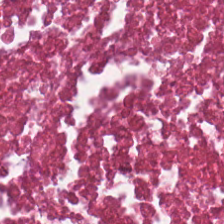Hematoxylin and eosin.
The classification is cellular debris.
